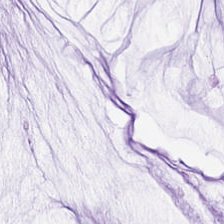Predominantly extracellular mucin.
